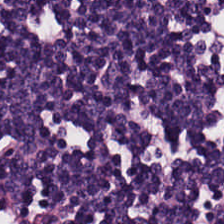Hematoxylin-and-eosin stained section · whole-slide-image patch. This field is lymphocyte aggregate.
